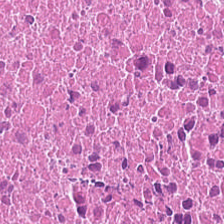Hematoxylin-and-eosin stained section. Debris.
